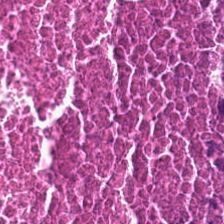224×224 px tile; H&E stain. Showing cellular debris.
